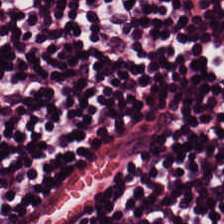Stain: H&E.
Tissue type: lymphocytic infiltrate.
